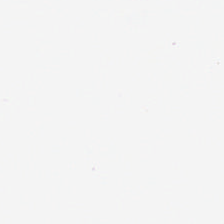224×224 pixel tile · FFPE · hematoxylin-and-eosin stained section. This field is background (no tissue).
